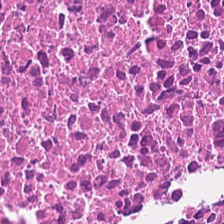Hematoxylin-and-eosin stained section · 0.5 µm per pixel. Showing cellular debris.
